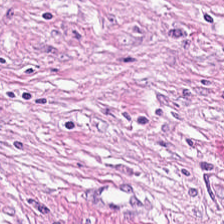Finding — tumor stroma.
